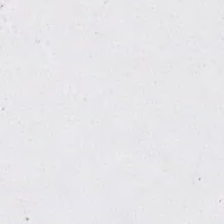Hematoxylin-and-eosin stained section. Q: What is shown in this field?
A: The field shows no tissue.
